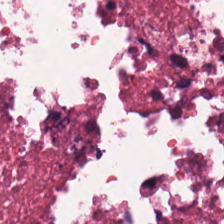Predominant tissue — necrotic debris.
